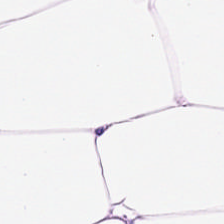H&E — Q: What type of tissue is this?
A: This is adipocytes.
